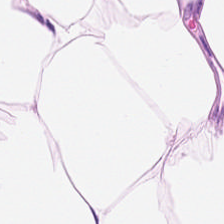Stain: hematoxylin and eosin.
Resolution: 0.5 µm/px.
Acquisition: brightfield.
Tissue: adipose tissue.
